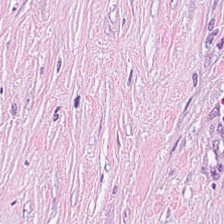H&E stain. Finding → desmoplastic stroma.
